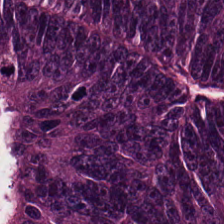H&E — Classification — adenocarcinoma.
